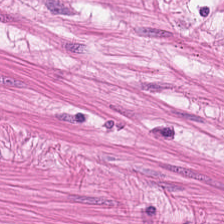Stain: hematoxylin and eosin.
Tissue class: smooth muscle.
